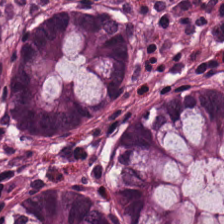H&E stain.
Tissue type = benign colonic mucosa.
